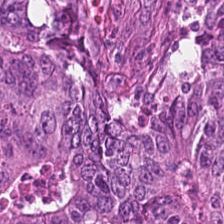Showing malignant epithelium.
